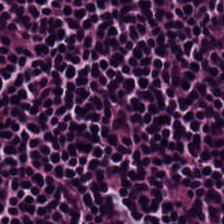This patch shows lymphocytes.
